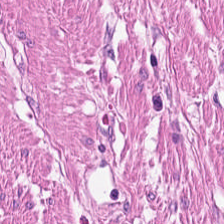H&E stain; 224×224 pixel tile — Predominantly smooth muscle.
